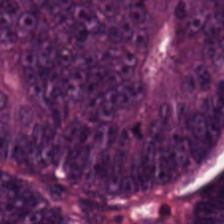H&E-stained tissue section. The predominant tissue is colorectal adenocarcinoma epithelium.
